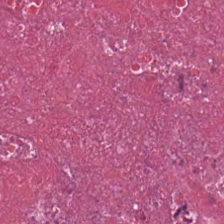H&E stain. Showing debris.
